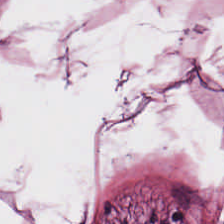Predominant tissue = adipose tissue.
